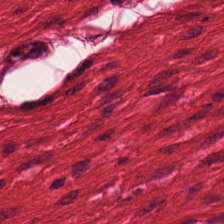Brightfield; 224×224 px patch; H&E stain. The tissue type is smooth-muscle tissue.
